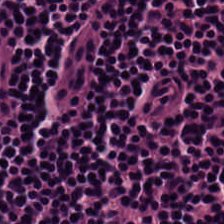H&E; FFPE tissue section — This patch shows lymphocytic infiltrate.
